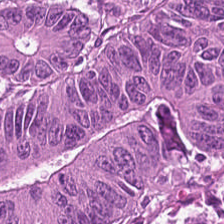Q: What type of tissue is this?
A: Colorectal adenocarcinoma epithelium.
